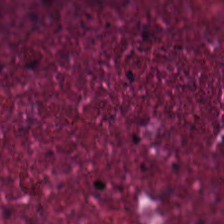Hematoxylin and eosin.
Q: What is shown in this field?
A: Debris.
